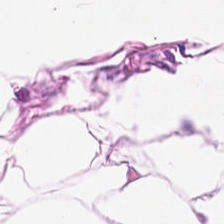Hematoxylin and eosin — Predominantly fat tissue.
